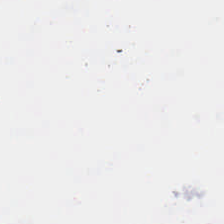Stain: H&E stain.
Classification: no tissue.
